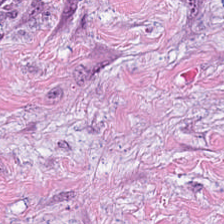H&E stain — Predominant tissue: desmoplastic stroma.
